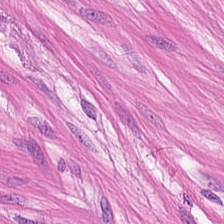Stain: H&E stain.
Tissue type: smooth muscle.
